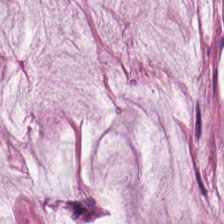0.5 µm/px; hematoxylin and eosin.
The predominant tissue is mucus.
